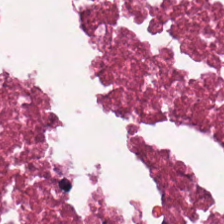Q: What is shown here?
A: It is cellular debris.
